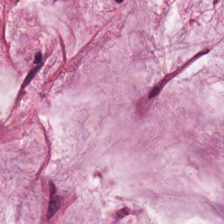Brightfield. Hematoxylin-and-eosin stained section. 20× equivalent magnification — Impression — mucus.
